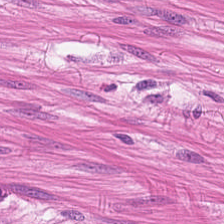Stain: H&E-stained tissue section.
Classification: smooth-muscle tissue.
